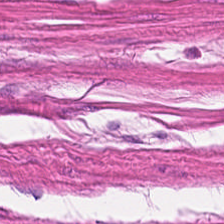224×224 px tile · 0.5 microns per pixel · hematoxylin-and-eosin stained section. {"tissue_type": "smooth-muscle tissue"}
